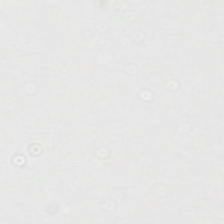H&E stain — No tissue present; background only.
